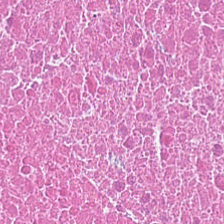H&E-stained tissue section.
This field is cellular debris.
